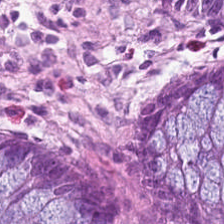H&E stain. Formalin-fixed paraffin-embedded section — Normal colonic mucosa.
